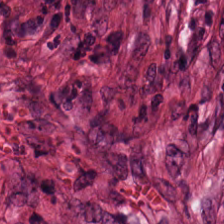H&E-stained tissue section. Brightfield. The tissue class is tumor-associated stroma.
